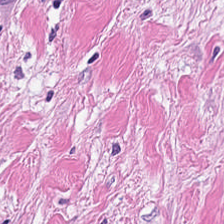224×224 px tile · H&E stain.
This patch shows desmoplastic stroma.
